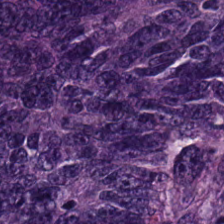H&E.
Q: What is shown in this field?
A: The field shows tumor epithelium.
